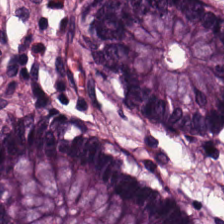H&E.
The tissue type is benign colonic mucosa.
